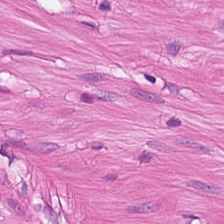Whole-slide-image patch · hematoxylin and eosin · FFPE tissue section. Impression → muscularis.
